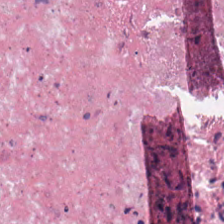Hematoxylin and eosin. The predominant tissue is cellular debris.
